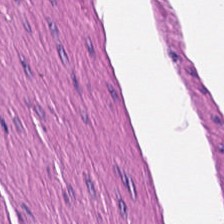Stain: H&E stain.
Tissue type: smooth muscle.
